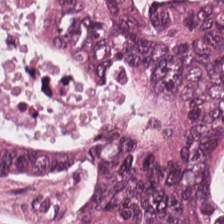20× equivalent magnification · hematoxylin and eosin · brightfield microscopy. Showing colorectal adenocarcinoma epithelium.
